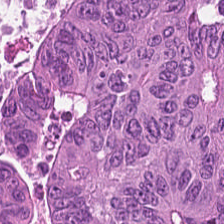Brightfield; H&E-stained tissue section; 0.5 microns per pixel.
Q: What is shown here?
A: The field shows adenocarcinoma.
